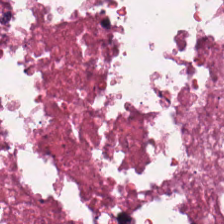Hematoxylin and eosin. Histology → cellular debris.
